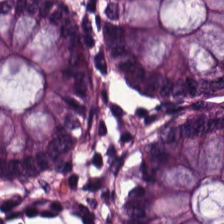Stain: H&E.
Acquisition: WSI patch.
Tissue class: normal colonic mucosa.
